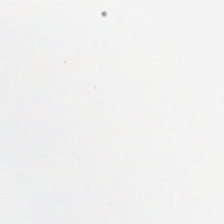Q: What is shown here?
A: Background.
